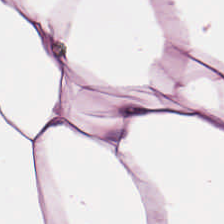H&E-stained section; the field shows fat tissue.
